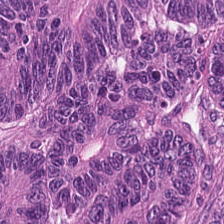Hematoxylin-and-eosin stained section. Finding — colorectal adenocarcinoma.
